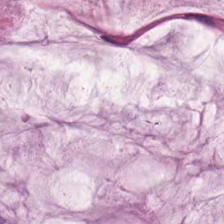Q: Identify the tissue.
A: The field shows mucin.
